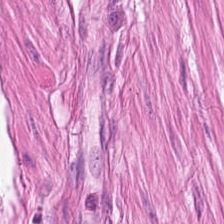Hematoxylin-and-eosin stained section. 20× equivalent magnification.
Q: What tissue is shown?
A: It is smooth muscle.
